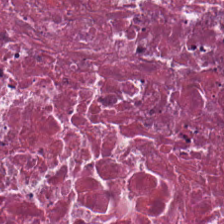Hematoxylin-and-eosin stained section.
Histology → necrotic debris.
